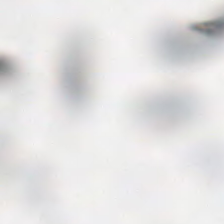H&E.
Field content = background (no tissue).
